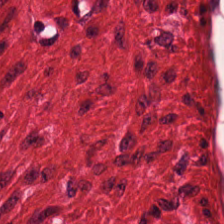Stain: H&E.
Tissue: smooth-muscle tissue.
